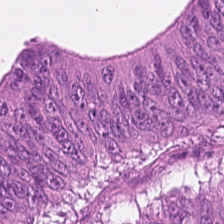Hematoxylin and eosin. Predominant tissue = colorectal adenocarcinoma.
